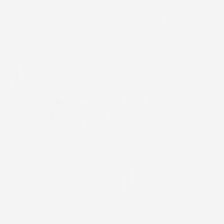Hematoxylin-and-eosin stained section; 224×224 px tile — Q: What is shown here?
A: The field shows no tissue.
